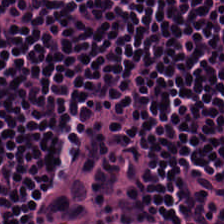H&E-stained tissue section — The tissue here is lymphocytes.
